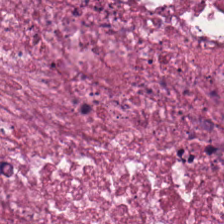H&E stain. Whole-slide-image patch — Histology — cellular debris.
